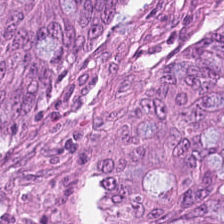H&E. Showing malignant epithelium.
